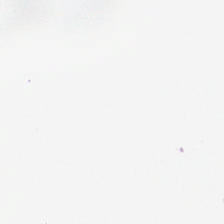The content is background (no tissue).
